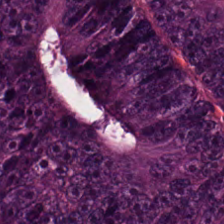H&E — This field is adenocarcinoma.
